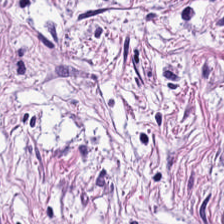Brightfield microscopy; H&E-stained tissue section.
This patch shows desmoplastic stroma.
